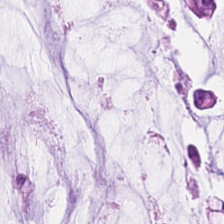224×224 pixel tile · H&E stain.
The predominant tissue is mucin.
